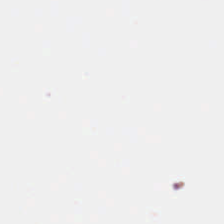The content is background (no tissue).
